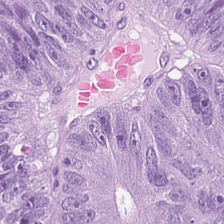Hematoxylin-and-eosin stained section.
Q: What tissue type is shown here?
A: It is colorectal adenocarcinoma epithelium.
